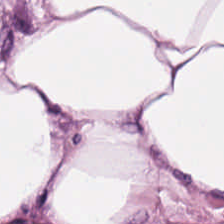Showing adipocytes.
